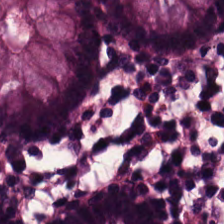FFPE tissue section; hematoxylin-and-eosin stained section. The predominant tissue is benign colonic mucosa.
